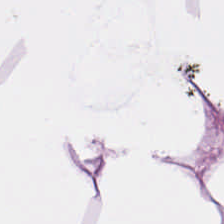FFPE; H&E; 224×224 px patch.
The predominant tissue is adipose.
